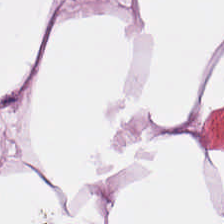Hematoxylin-and-eosin stained section.
The tissue type is fat tissue.
